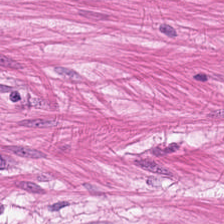{"tissue_type": "smooth-muscle tissue"}
